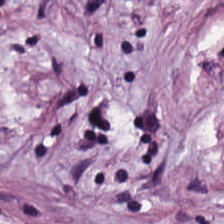Hematoxylin-and-eosin stained section; 224×224 pixel tile.
Q: What does this patch show?
A: It is tumor-associated stroma.
